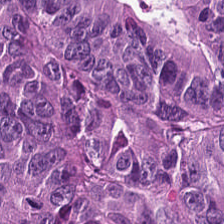Stain: H&E stain.
Acquisition: whole-slide-image patch.
Classification: adenocarcinoma.
